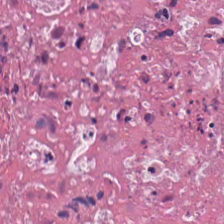H&E stain; FFPE.
This field is debris.
